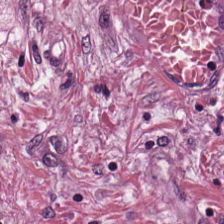Predominant tissue — desmoplastic stroma.
